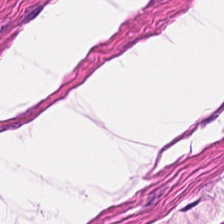The predominant tissue is muscularis.
